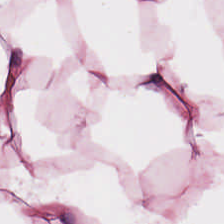H&E stain.
Finding — adipose.
